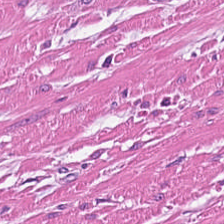Hematoxylin and eosin — This field is muscularis.
